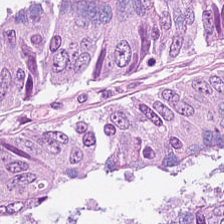0.5 µm/px; hematoxylin-and-eosin stained section; 224×224 px tile — Adenocarcinoma.
